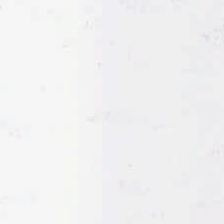20× equivalent magnification · H&E — Q: What is shown in this field?
A: The field shows no tissue.
